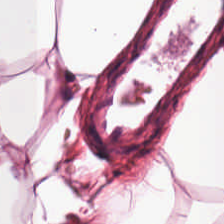Stain: hematoxylin and eosin.
Tissue class: adipose tissue.
